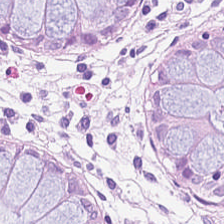H&E stain · 0.5 µm/px · FFPE tissue section. Q: What is the predominant tissue type?
A: It is non-neoplastic colon mucosa.
